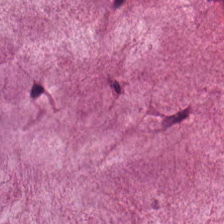The tissue here is extracellular mucin.
